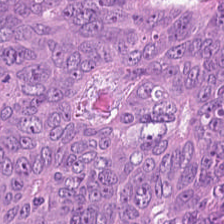Tissue — malignant epithelium.
